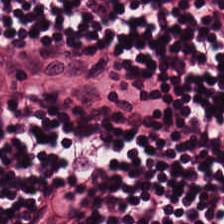Predominant tissue = lymphocytes.
